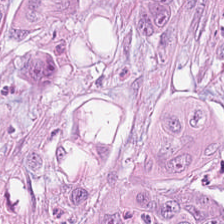This field is colorectal adenocarcinoma epithelium.
